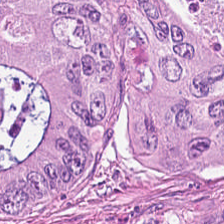Hematoxylin and eosin. Classification: malignant epithelium.
